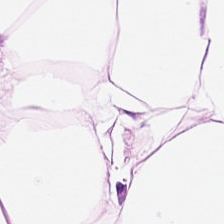Hematoxylin and eosin · WSI patch — The tissue is adipose.
